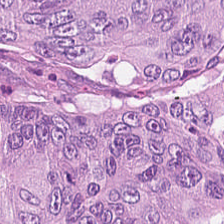H&E; 224×224 px patch.
Impression → malignant epithelium.
